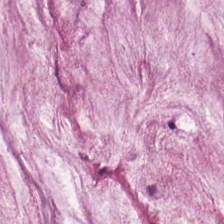Hematoxylin and eosin; 224×224 px tile.
This patch shows extracellular mucin.
